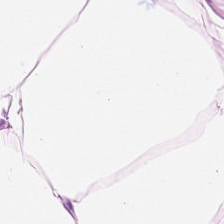Hematoxylin and eosin. This patch shows adipose.
